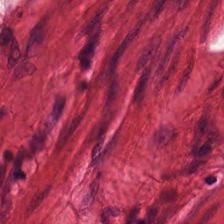This field is muscularis.
